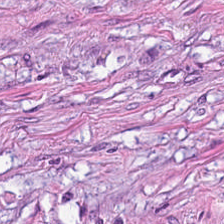H&E stain; FFPE tissue section; 224×224 px patch — Predominantly tumor-associated stroma.
